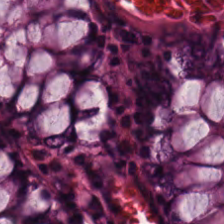Hematoxylin and eosin. 224×224 pixel tile. 0.5 µm per pixel.
Normal colon mucosa.
